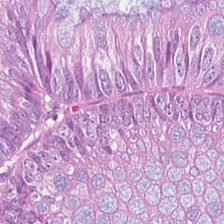H&E stain.
Tissue class: malignant epithelium.
